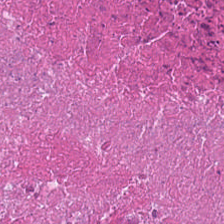Q: What is shown in this field?
A: Debris.
